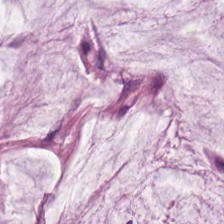Whole-slide-image patch · hematoxylin and eosin — Tissue type — mucus.
